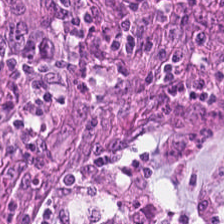Q: What does this patch show?
A: This is colorectal adenocarcinoma.
